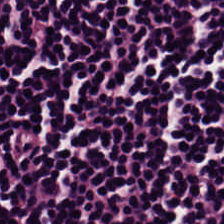H&E-stained tissue section. Classification = lymphocytes.
